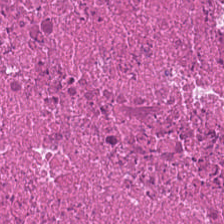Brightfield · H&E stain · 20× equivalent magnification — Classification: cellular debris.
